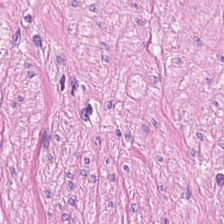H&E — Q: What tissue is shown?
A: It is muscularis.
